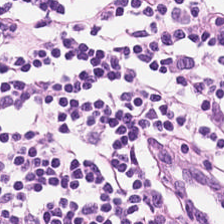Hematoxylin-and-eosin stained section. Finding → lymphocytes.
